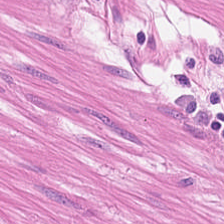224×224 px tile. FFPE tissue section. Hematoxylin-and-eosin stained section.
Showing muscularis.
